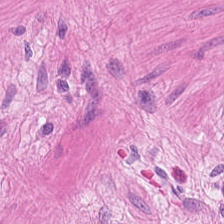Hematoxylin and eosin. This field is smooth muscle.
